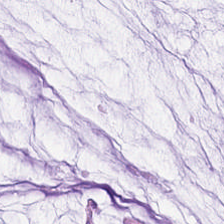H&E-stained tissue section.
Predominantly mucin.
